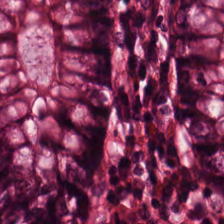H&E stain. 224×224 px tile — Predominantly normal colonic mucosa.
